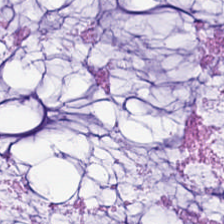0.5 µm/px. Brightfield. H&E-stained tissue section — This patch shows extracellular mucin.
